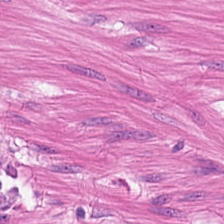{"tissue_type": "smooth-muscle tissue"}
